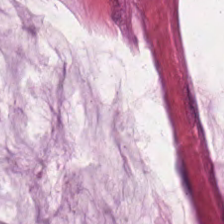Hematoxylin and eosin. The predominant tissue is mucus.
